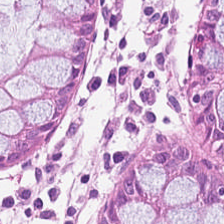FFPE · hematoxylin and eosin — Finding → non-neoplastic colon mucosa.
